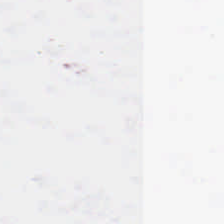The field content is empty background.
